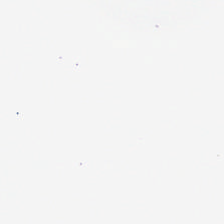Stain: H&E-stained tissue section.
Classification: background (no tissue).
